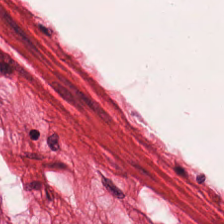Hematoxylin and eosin. Predominant tissue — smooth muscle.
